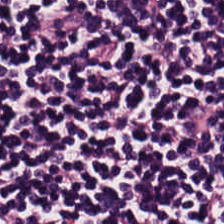Whole-slide-image patch; H&E stain; 0.5 µm per pixel — This field is lymphocytic infiltrate.
